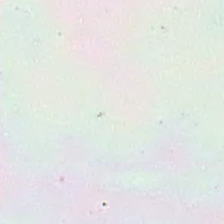H&E — Background — no tissue in this field.
